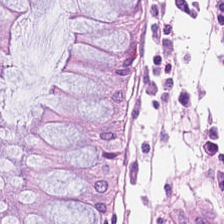Stain: H&E-stained tissue section.
Tile size: 224×224 px patch.
Tissue type: benign colonic mucosa.
